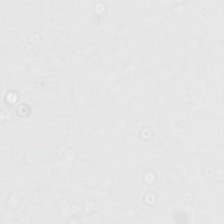0.5 microns per pixel · hematoxylin and eosin — Empty background.
